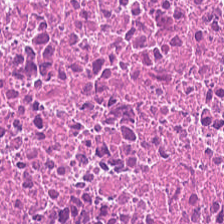Histology — cellular debris.
